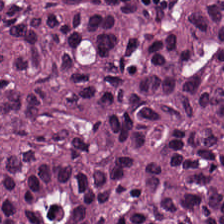Classification: colorectal adenocarcinoma.
